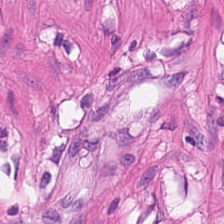Hematoxylin-and-eosin section: smooth muscle.
